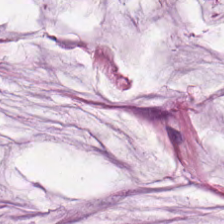Stain: H&E-stained tissue section.
Resolution: 20× equivalent magnification.
Classification: mucin.
